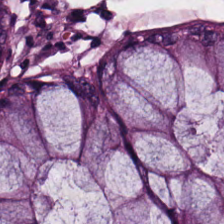Hematoxylin and eosin; 224×224 px tile — Predominant tissue: normal colonic mucosa.
